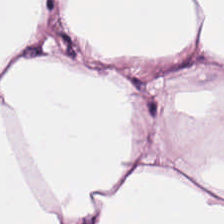Hematoxylin and eosin · 0.5 µm per pixel · FFPE — {"tissue_type": "adipose tissue"}
